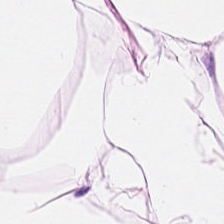H&E — Q: Identify the tissue.
A: It is adipose tissue.
